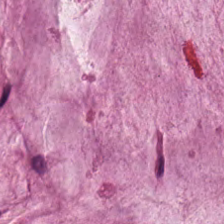Q: What is shown in this field?
A: It is extracellular mucin.
